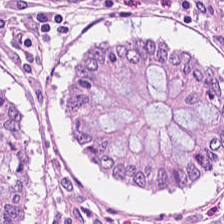Hematoxylin-and-eosin stained section; FFPE tissue section; 224×224 pixel tile. Classification = normal colon mucosa.
